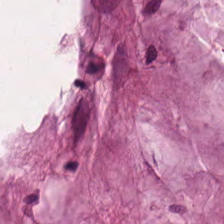H&E-stained tissue section showing mucin.
